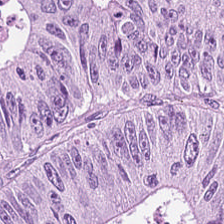Stain: H&E.
Tissue class: malignant epithelium.
